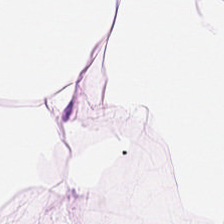H&E-stained tissue section — Q: Classify this patch.
A: This is fat tissue.
